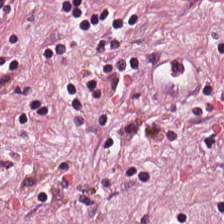H&E patch showing cancer-associated stroma.
